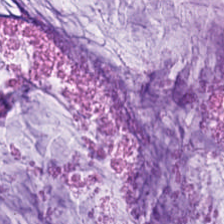224×224 px tile. Formalin-fixed paraffin-embedded section. H&E-stained tissue section. Histology — mucus.
